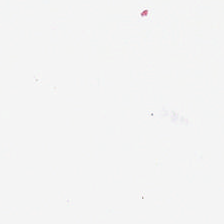Histology → no tissue.
